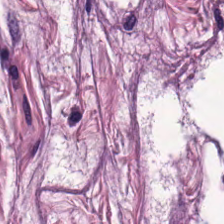Formalin-fixed paraffin-embedded section. H&E-stained tissue section.
This patch shows smooth-muscle tissue.
